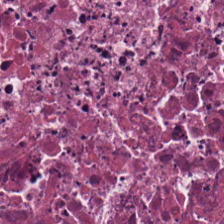H&E-stained tissue section; 0.5 microns per pixel; WSI patch.
The tissue here is debris.
